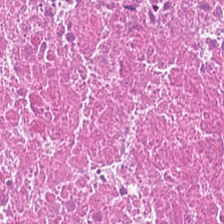H&E-stained tissue section. Predominantly debris.
